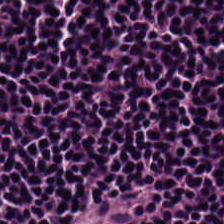H&E stain — This patch shows lymphoid infiltrate.
